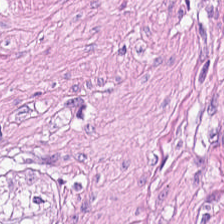H&E stain.
Smooth-muscle tissue.
